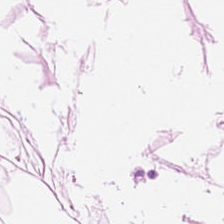Hematoxylin-and-eosin stained section — Predominant tissue — adipose.
